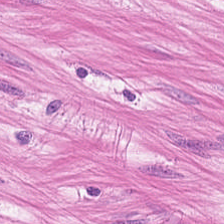Hematoxylin-and-eosin stained section.
This field is muscularis.
